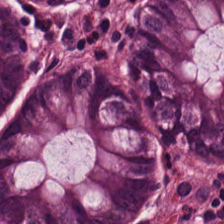H&E stain. Histology — benign colonic mucosa.
